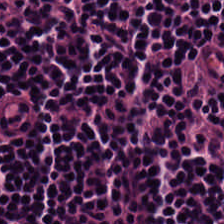Stain: hematoxylin and eosin.
Tissue type: lymphocytes.
